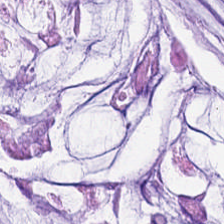Hematoxylin and eosin. The tissue class is mucin.
